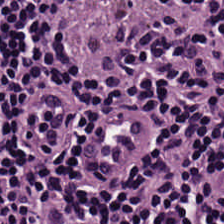0.5 µm/px; 224×224 px tile; H&E stain. The classification is lymphocytic infiltrate.
